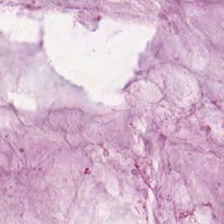Hematoxylin and eosin.
Showing mucin.
